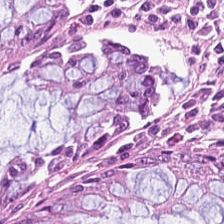Brightfield · H&E stain — Tissue — non-neoplastic colon mucosa.
